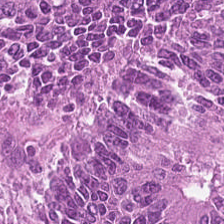Histology → malignant epithelium.
